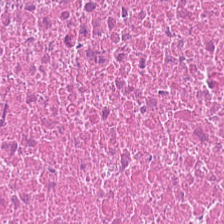Hematoxylin-and-eosin stained section. This field is debris.
